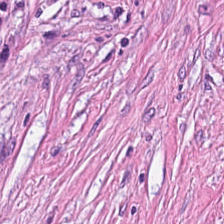Stain: hematoxylin-and-eosin stained section.
Classification: cancer-associated stroma.
